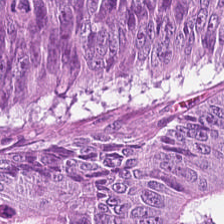H&E-stained tissue section — The predominant tissue is adenocarcinoma.
